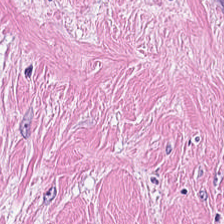Hematoxylin-and-eosin stained section; formalin-fixed paraffin-embedded section — Tissue: cancer-associated stroma.
